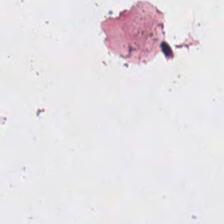Stain: hematoxylin and eosin.
Acquisition: brightfield.
Resolution: 0.5 microns per pixel.
Content: no tissue.
